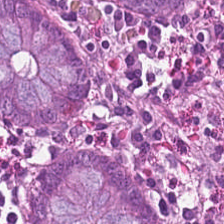Stain: H&E-stained tissue section.
Preparation: FFPE tissue section.
Classification: normal colon mucosa.
